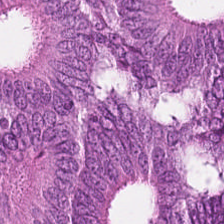Malignant epithelium.
